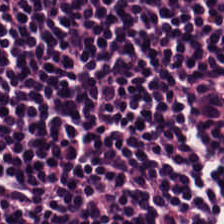20× equivalent magnification; 224×224 pixel tile; hematoxylin-and-eosin stained section.
Showing lymphocyte aggregate.
